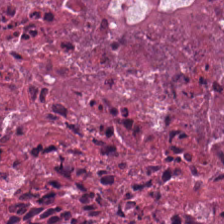Hematoxylin and eosin. {"tissue_type": "debris"}
